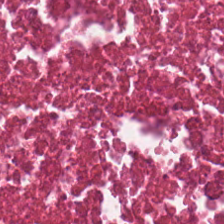Hematoxylin-and-eosin stained section. 0.5 microns per pixel. 224×224 px patch — The tissue type is cellular debris.
